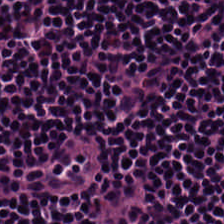FFPE tissue section; H&E-stained tissue section; 20× equivalent magnification.
Impression → lymphocytic infiltrate.
